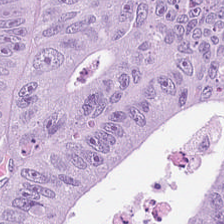H&E-stained tissue section.
{"tissue_type": "adenocarcinoma"}
